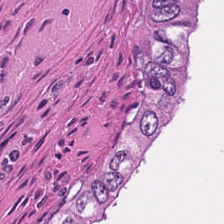Stain: hematoxylin and eosin.
Tissue: necrotic debris.
